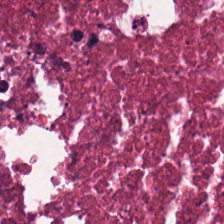Histology → debris.
